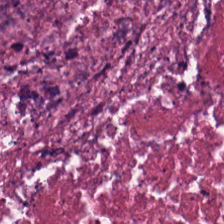Tissue — cellular debris.
